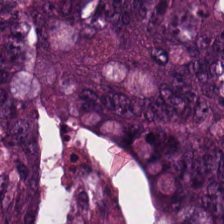H&E stain; FFPE; WSI patch.
This patch shows colorectal adenocarcinoma.
